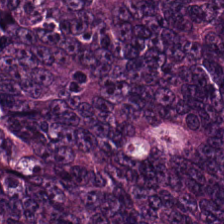H&E — tumor epithelium.
